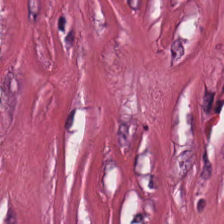H&E. 0.5 µm/px. 224×224 px patch — Predominant tissue = tumor stroma.
